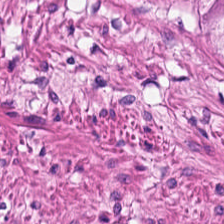Whole-slide-image patch. Hematoxylin and eosin — {"tissue_type": "muscularis"}
